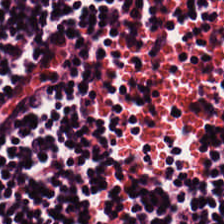H&E-stained tissue section. Q: What is shown in this field?
A: It is lymphocytes.
